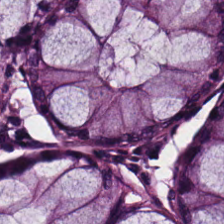Stain: H&E.
Tissue type: benign colonic mucosa.
